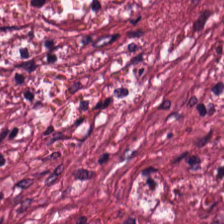H&E-stained tissue section.
Q: Identify the tissue.
A: Cancer-associated stroma.
